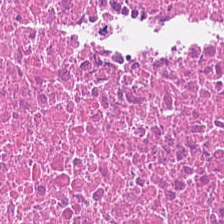Hematoxylin and eosin — {"tissue_type": "necrotic debris"}
